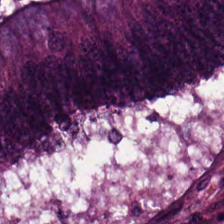Stain: hematoxylin and eosin.
Acquisition: whole-slide-image patch.
Tissue: malignant epithelium.
